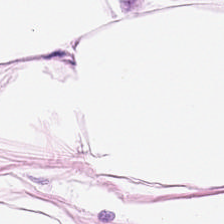H&E · 224×224 px tile · whole-slide-image patch. Showing adipocytes.
